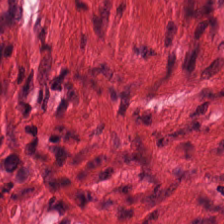H&E-stained section; the field shows smooth muscle.
